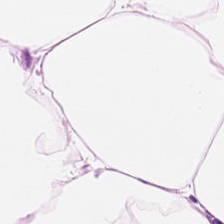Predominantly fat tissue.
